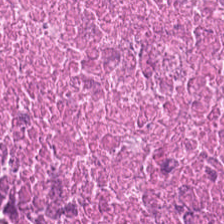Classification — necrotic debris.
